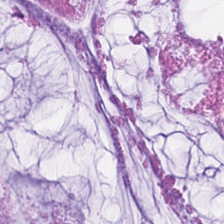Formalin-fixed paraffin-embedded section · hematoxylin-and-eosin stained section. Q: Identify the tissue.
A: Mucus.
